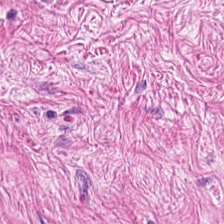0.5 µm per pixel; hematoxylin-and-eosin stained section.
Predominantly smooth muscle.
